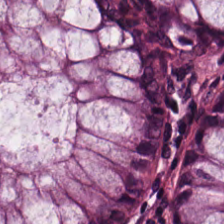Stain: H&E-stained tissue section.
Tissue: benign colonic mucosa.
